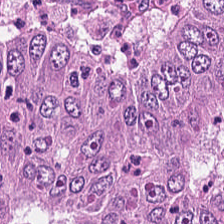224×224 px tile. H&E stain. 20× equivalent magnification — Predominant tissue = tumor epithelium.
